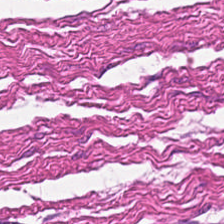H&E stain — The tissue here is smooth muscle.
